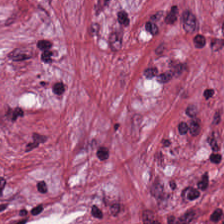Hematoxylin and eosin — The predominant tissue is tumor-associated stroma.
